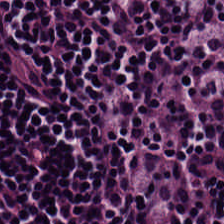Brightfield microscopy. H&E stain — Tissue type = lymphocyte aggregate.
